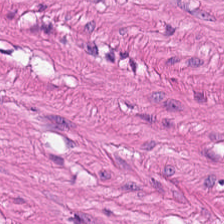H&E-stained tissue section. Tissue class: smooth-muscle tissue.
